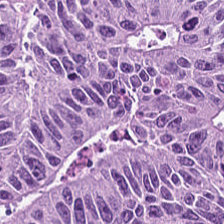Stain: H&E stain.
Classification: colorectal adenocarcinoma.
